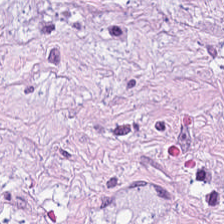Q: What tissue is shown?
A: It is tumor stroma.
